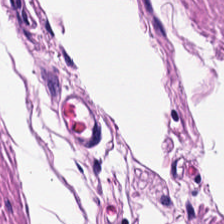Hematoxylin-and-eosin stained section. {"tissue_type": "smooth muscle"}
